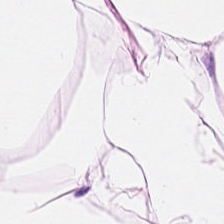Q: What type of tissue is this?
A: This is fat tissue.
